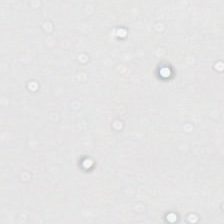Field content — background (no tissue).
